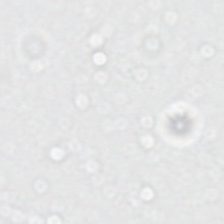Empty background.
